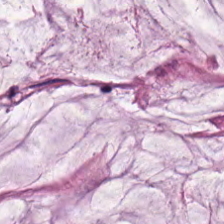0.5 µm per pixel. H&E stain. FFPE tissue section — Q: What tissue type is shown here?
A: This is extracellular mucin.
